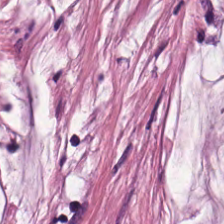224×224 pixel tile · H&E-stained tissue section · WSI patch.
Impression → extracellular mucin.
